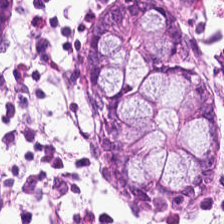H&E · FFPE · 20× equivalent magnification. Tissue — benign colonic mucosa.
